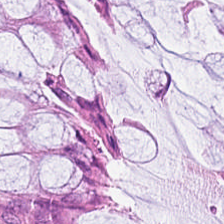The classification is benign colonic mucosa.
